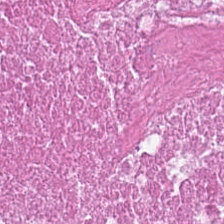FFPE tissue section; whole-slide-image patch; H&E stain — Q: Classify this patch.
A: This is debris.
